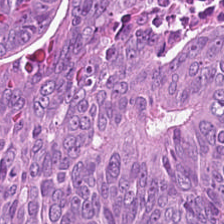Hematoxylin-and-eosin stained section; FFPE tissue section — The predominant tissue is malignant epithelium.
